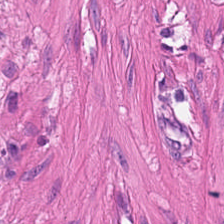H&E-stained tissue section. Brightfield microscopy.
Predominant tissue: smooth-muscle tissue.
